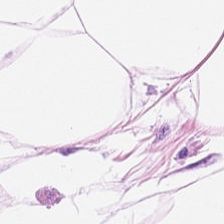H&E stain. 0.5 µm per pixel. The tissue is adipocytes.
